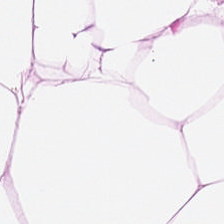H&E-stained tissue section. Q: What type of tissue is this?
A: It is fat tissue.
